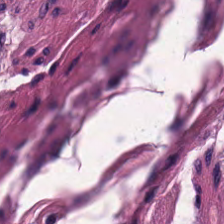Showing smooth-muscle tissue.
